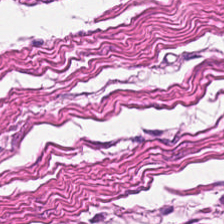H&E stain. Brightfield — Tissue = smooth-muscle tissue.
